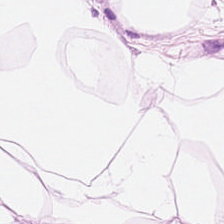0.5 µm per pixel · H&E · FFPE tissue section. Q: Classify this patch.
A: The field shows adipose tissue.
